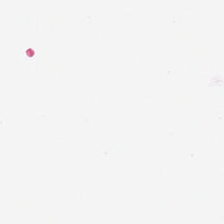Background (no tissue).
